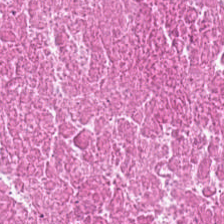Stain: H&E.
Preparation: formalin-fixed paraffin-embedded section.
Predominant tissue: cellular debris.
